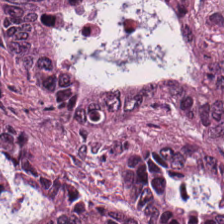Tissue class: colorectal adenocarcinoma epithelium.
